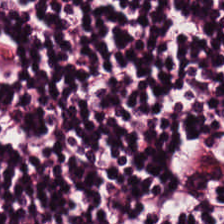Hematoxylin and eosin.
The tissue here is lymphocytes.
